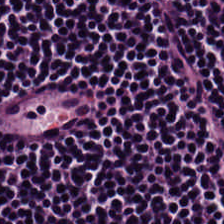Q: What is the predominant tissue type?
A: This is lymphocytes.
